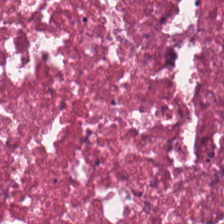Hematoxylin and eosin. Predominant tissue = debris.
